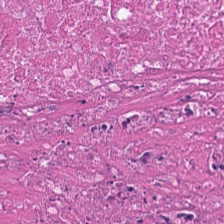H&E-stained tissue section — Impression → cellular debris.
